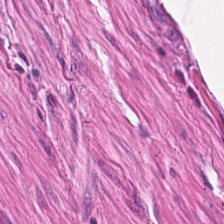The tissue class is muscularis.
